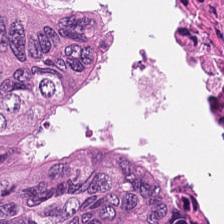224×224 px patch · H&E stain — Histology → debris.
